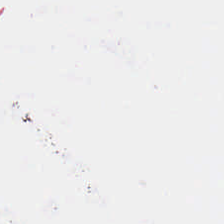Hematoxylin and eosin — Finding → no tissue.
